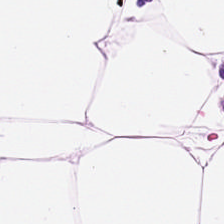H&E stain · 20× equivalent magnification. Histology — fat tissue.
